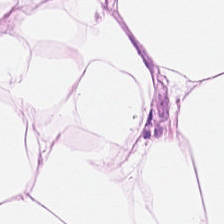H&E-stained tissue section. 0.5 µm per pixel — Finding → adipocytes.
